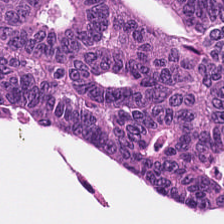Tissue class — tumor epithelium.
